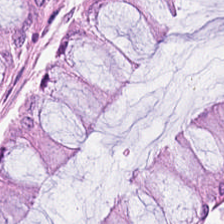H&E-stained tissue section. 224×224 px patch. FFPE tissue section.
Q: What tissue is shown?
A: Non-neoplastic colon mucosa.
